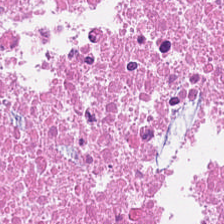Impression — debris.
